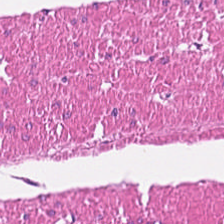H&E.
Tissue class — muscularis.
